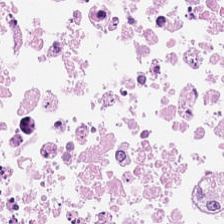Hematoxylin-and-eosin stained section · whole-slide-image patch · FFPE. Predominantly cellular debris.
